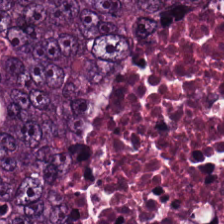0.5 microns per pixel. H&E.
Predominantly malignant epithelium.
